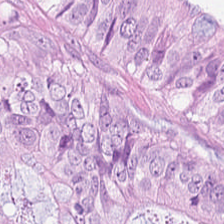Q: What is shown in this field?
A: This is colorectal adenocarcinoma.
